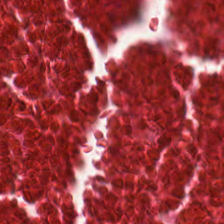Predominantly necrotic debris.
